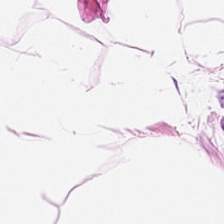Hematoxylin and eosin. 0.5 microns per pixel. 224×224 px tile.
Tissue = adipocytes.
